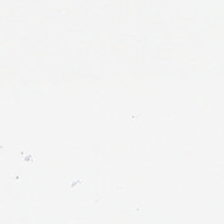{"content": "background (no tissue)"}
